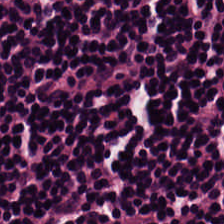Hematoxylin and eosin.
The tissue here is lymphoid infiltrate.
